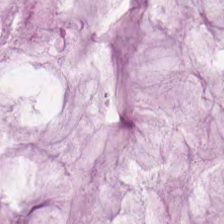Hematoxylin-and-eosin section: mucin.
